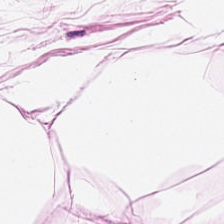Whole-slide-image patch; hematoxylin-and-eosin stained section — Tissue type: fat tissue.
